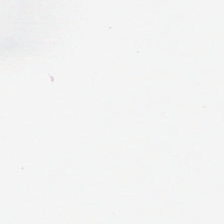H&E stain.
This field is background (no tissue).
